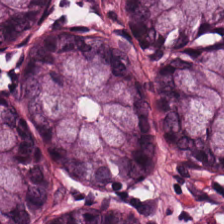H&E-stained tissue section — Q: Identify the tissue.
A: This is normal colon mucosa.
